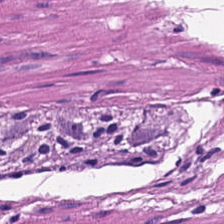FFPE tissue section. H&E. 224×224 pixel tile — Histology — muscularis.
